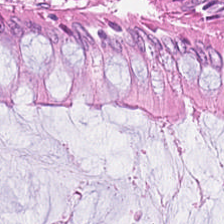H&E stain. 224×224 px tile. The classification is benign colonic mucosa.
